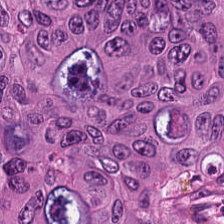Hematoxylin and eosin.
The tissue class is colorectal adenocarcinoma epithelium.
